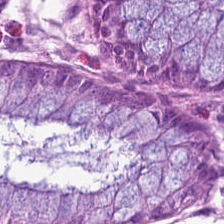Q: What is the predominant tissue type?
A: Benign colonic mucosa.
